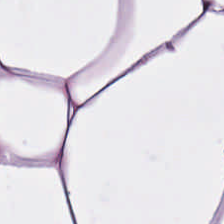224×224 pixel tile · FFPE · H&E stain. This field is adipocytes.
